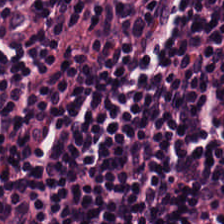Hematoxylin-and-eosin stained section — {"tissue_type": "lymphoid infiltrate"}
